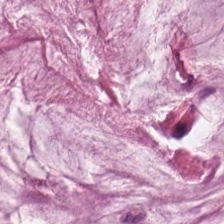FFPE tissue section; H&E stain; 20× equivalent magnification. Q: What is shown in this field?
A: It is extracellular mucin.
